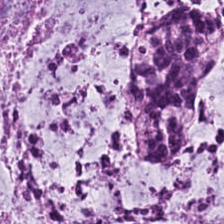Hematoxylin-and-eosin stained section. Whole-slide-image patch. Finding — mucin.
